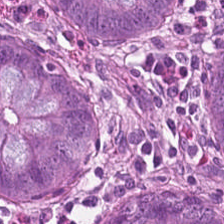Hematoxylin and eosin. This patch shows benign colonic mucosa.
